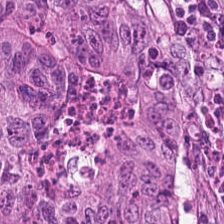The tissue here is adenocarcinoma.
